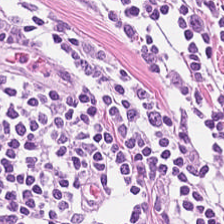H&E-stained tissue section. The tissue is lymphoid infiltrate.
